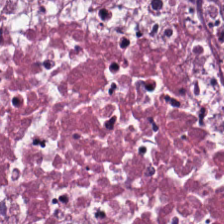Stain: H&E-stained tissue section.
Tissue type: cellular debris.
